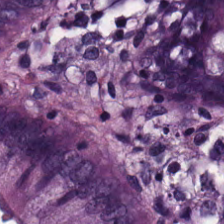Hematoxylin and eosin · FFPE tissue section. Impression → benign colonic mucosa.
